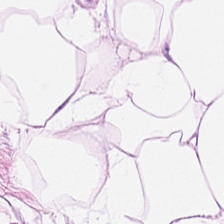Brightfield microscopy · hematoxylin-and-eosin stained section. Q: What does this patch show?
A: Adipose tissue.
